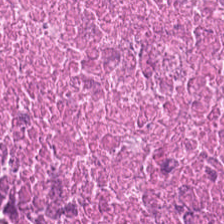H&E-stained tissue section showing necrotic debris.
